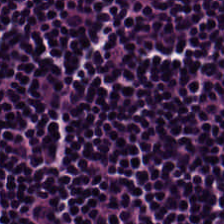Histology — lymphocytic infiltrate.
